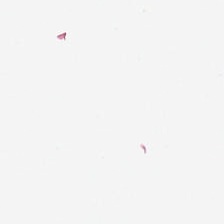Hematoxylin-and-eosin stained section. Histology — background (no tissue).
